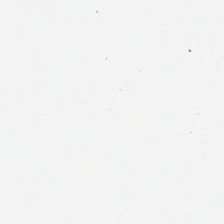224×224 px patch · FFPE · H&E stain — Q: What is shown here?
A: This is background (no tissue).
